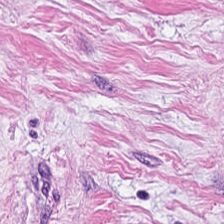Finding → desmoplastic stroma.
